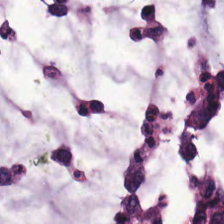The tissue here is mucin.
